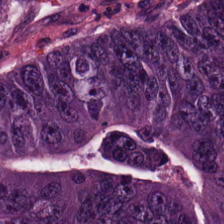0.5 µm per pixel · hematoxylin-and-eosin stained section — Q: What type of tissue is this?
A: This is malignant epithelium.
